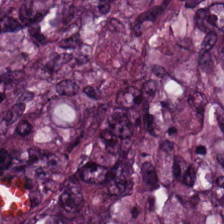Hematoxylin-and-eosin stained section — The predominant tissue is malignant epithelium.
